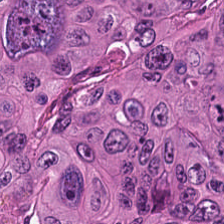Hematoxylin and eosin — Q: What does this patch show?
A: Colorectal adenocarcinoma.
